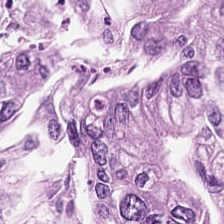Hematoxylin and eosin; formalin-fixed paraffin-embedded section — Tissue type: colorectal adenocarcinoma.
